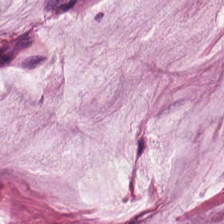H&E-stained section; the field shows extracellular mucin.
